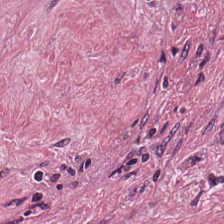The tissue class is desmoplastic stroma.
